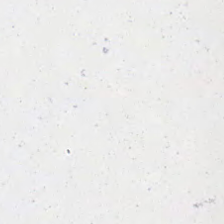Empty field — background.
